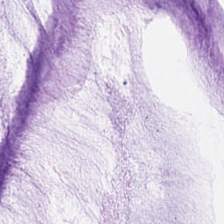H&E; formalin-fixed paraffin-embedded section; 224×224 px tile. Mucus.
